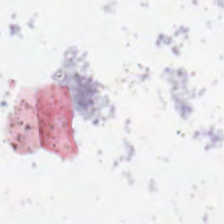H&E.
Empty field — no tissue.
